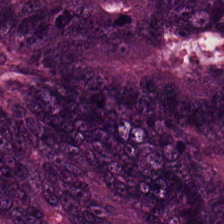H&E-stained tissue section; WSI patch — Adenocarcinoma.
